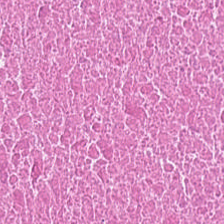Stain: H&E.
Classification: cellular debris.
